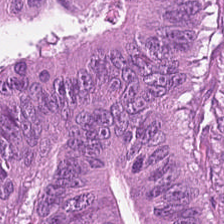Classification = malignant epithelium.
